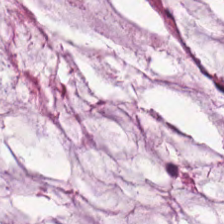Hematoxylin-and-eosin stained section — Mucus.
